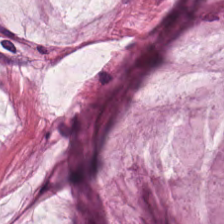Stain: hematoxylin-and-eosin stained section.
Predominant tissue: mucus.
